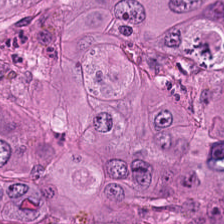H&E patch showing adenocarcinoma.
